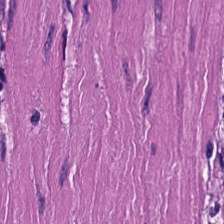Classification = smooth muscle.
